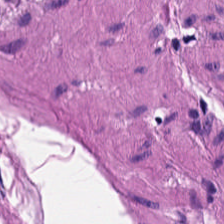Tissue: smooth muscle.
